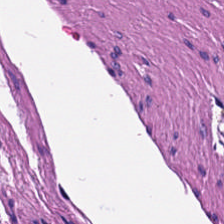0.5 µm per pixel; WSI patch; H&E — This patch shows muscularis.
